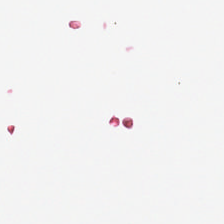Empty field — no tissue.
